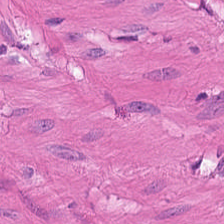Predominantly smooth muscle.
